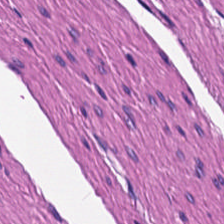Hematoxylin and eosin.
Tissue type: smooth-muscle tissue.
